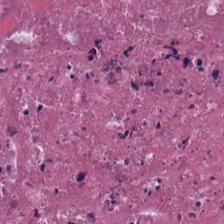Stain: hematoxylin and eosin.
Acquisition: brightfield.
Tissue class: cellular debris.
